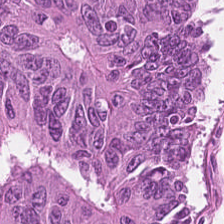This field is tumor epithelium.
